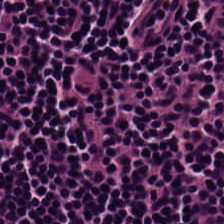Histology — lymphocyte aggregate.
